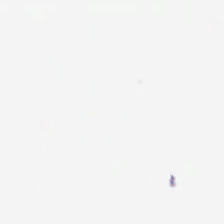0.5 µm per pixel; H&E stain — Background — no tissue in this field.
